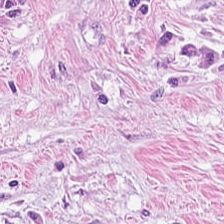Hematoxylin and eosin — Impression → tumor stroma.
